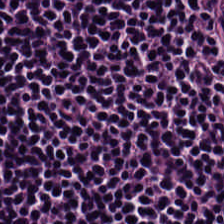H&E-stained tissue section. The predominant tissue is lymphocytic infiltrate.
